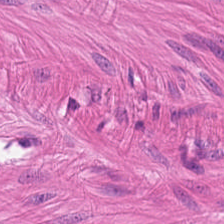Brightfield · formalin-fixed paraffin-embedded section · hematoxylin and eosin.
Predominantly muscularis.
